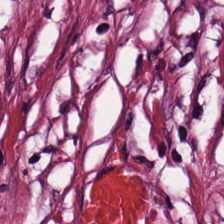H&E stain. Q: What tissue is shown?
A: This is cancer-associated stroma.
